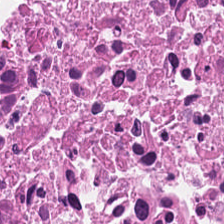H&E.
Debris.
